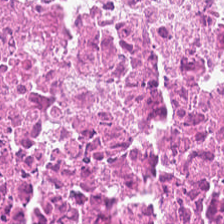224×224 px patch. H&E-stained tissue section. Classification: necrotic debris.
